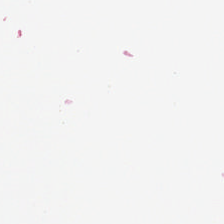224×224 px patch · hematoxylin-and-eosin stained section — No tissue.
